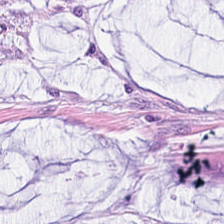Stain: hematoxylin and eosin.
Tile size: 224×224 px tile.
Resolution: 0.5 microns per pixel.
Tissue: extracellular mucin.
